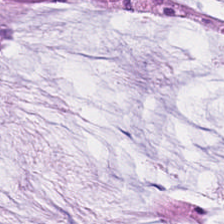224×224 px patch. H&E. Tissue type: extracellular mucin.
